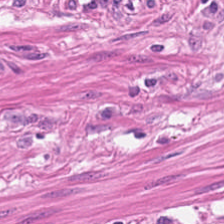FFPE. 224×224 pixel tile. Hematoxylin-and-eosin stained section — Impression → muscularis.
